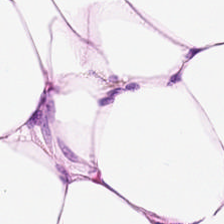H&E stain.
Tissue type: adipose.
